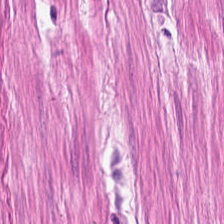H&E stain; whole-slide-image patch; FFPE — The predominant tissue is muscularis.
